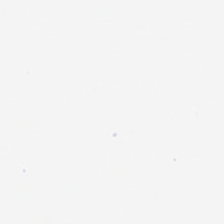Q: What does this patch show?
A: The field shows empty background.
